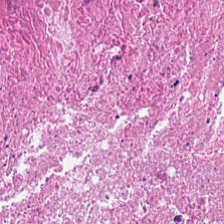Hematoxylin and eosin — Classification = debris.
